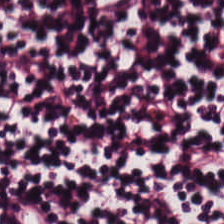H&E · formalin-fixed paraffin-embedded section · whole-slide-image patch.
Finding — lymphocytic infiltrate.
